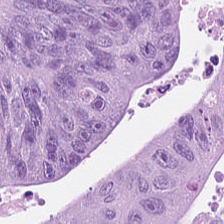Stain: hematoxylin-and-eosin stained section.
Predominant tissue: colorectal adenocarcinoma.
